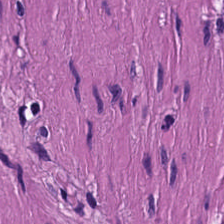H&E-stained tissue section — Q: What tissue is shown?
A: It is smooth-muscle tissue.
